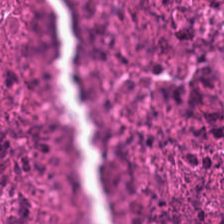Brightfield microscopy · H&E-stained tissue section.
This field is necrotic debris.
